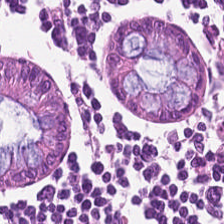Tissue class = non-neoplastic colon mucosa.
